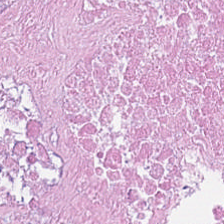H&E.
This field is cellular debris.
